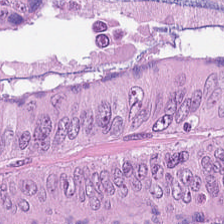The predominant tissue is malignant epithelium.
